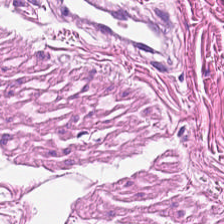224×224 pixel tile. Whole-slide-image patch. H&E.
Tissue type — muscularis.
